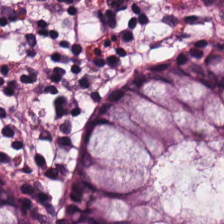The tissue here is normal colonic mucosa.
